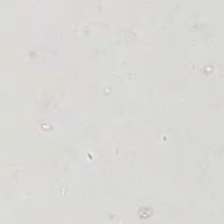0.5 µm/px; hematoxylin and eosin; brightfield microscopy — No tissue present; background only.
